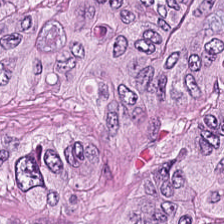H&E stain — Showing adenocarcinoma.
